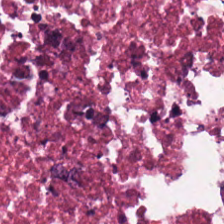Hematoxylin and eosin — This patch shows cellular debris.
